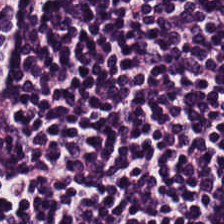Tissue: lymphocytic infiltrate.
